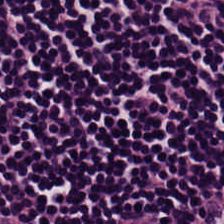H&E; formalin-fixed paraffin-embedded section — Tissue class: lymphocyte aggregate.
